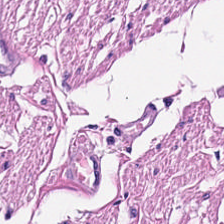Classification = smooth muscle.
